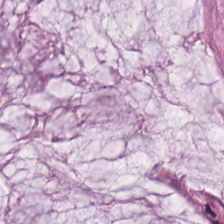Predominantly mucus.
